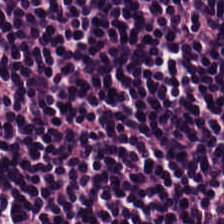Brightfield microscopy. FFPE tissue section. H&E — The tissue here is lymphoid infiltrate.
